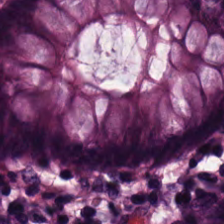Hematoxylin and eosin — This patch shows normal colon mucosa.
